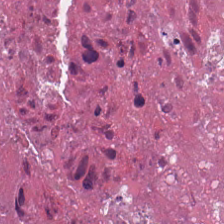H&E-stained tissue section; FFPE. Q: Classify this patch.
A: It is debris.
